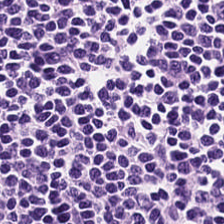H&E-stained tissue section. Lymphocyte aggregate.
